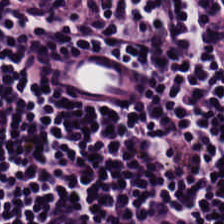Q: What is shown here?
A: It is lymphocytes.
